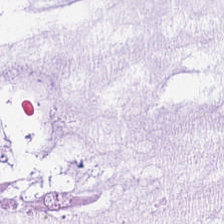Predominant tissue — mucus.
